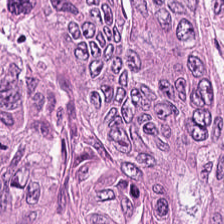H&E stain. Tumor epithelium.
